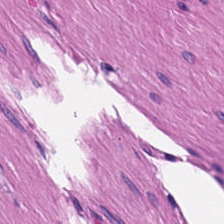0.5 µm/px. Formalin-fixed paraffin-embedded section. Hematoxylin-and-eosin stained section.
Q: What is shown here?
A: It is smooth-muscle tissue.
